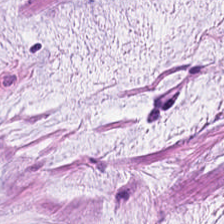FFPE · 0.5 µm per pixel · hematoxylin and eosin. Histology — mucin.
